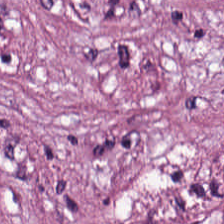Stain: hematoxylin-and-eosin stained section.
Acquisition: brightfield microscopy.
Tissue: tumor-associated stroma.
